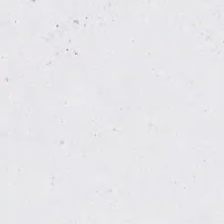0.5 microns per pixel; H&E-stained tissue section.
{"content": "background"}
